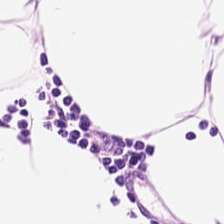Q: What type of tissue is this?
A: It is adipose.
